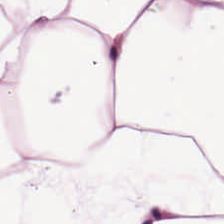H&E.
Tissue: adipose tissue.
